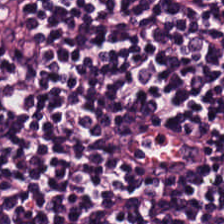Hematoxylin-and-eosin stained section · FFPE. Q: What type of tissue is this?
A: Lymphocytes.
